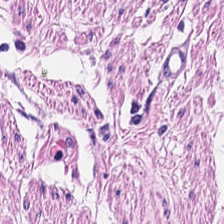H&E-stained tissue section. Showing smooth-muscle tissue.
